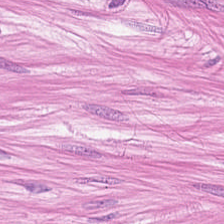H&E-stained tissue section.
Q: What tissue type is shown here?
A: It is muscularis.
